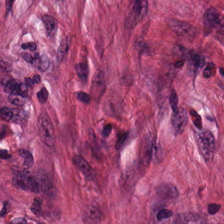H&E. This field is tumor stroma.
